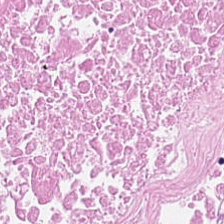H&E-stained tissue section. Brightfield microscopy.
Impression → cellular debris.
